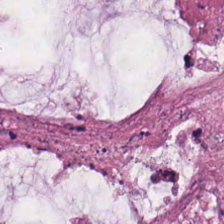Stain: H&E stain.
Tile size: 224×224 px tile.
Classification: mucin.
